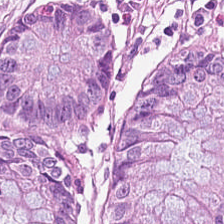20× equivalent magnification · H&E-stained tissue section · formalin-fixed paraffin-embedded section. The tissue is normal colonic mucosa.
